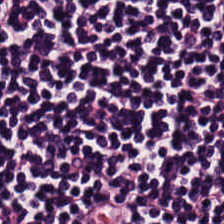H&E-stained tissue section · whole-slide-image patch.
{"tissue_type": "lymphocyte aggregate"}
